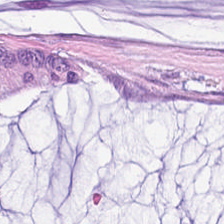Hematoxylin-and-eosin stained section.
The tissue type is extracellular mucin.
